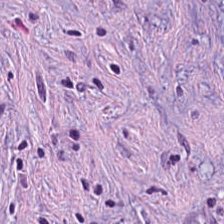Stain: H&E.
Classification: cancer-associated stroma.
